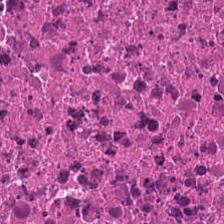0.5 µm per pixel · H&E. {"tissue_type": "debris"}
